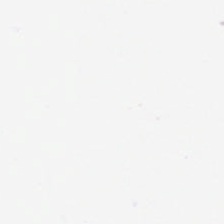Hematoxylin-and-eosin stained section — Empty background.
